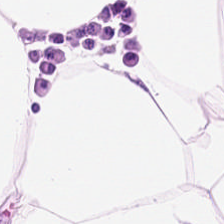H&E-stained tissue section. 0.5 µm per pixel.
Predominantly adipose.
